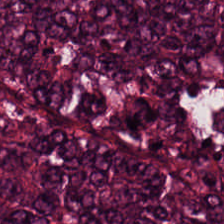Finding — colorectal adenocarcinoma.
